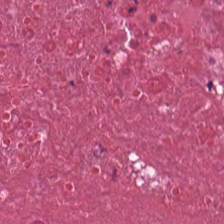Hematoxylin-and-eosin stained section · formalin-fixed paraffin-embedded section.
Cellular debris.
